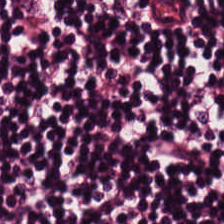Stain: H&E.
Classification: lymphocyte aggregate.
